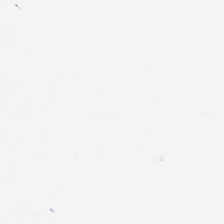224×224 pixel tile. Brightfield microscopy. H&E stain.
The classification is empty background.
